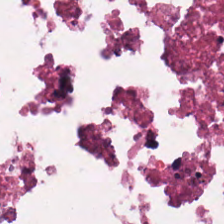H&E-stained tissue section — The tissue here is debris.
